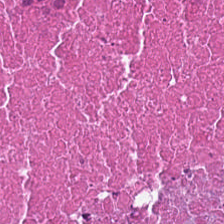Impression → debris.
